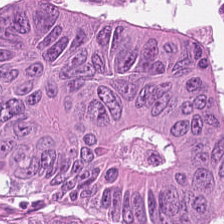Stain: H&E-stained tissue section.
Acquisition: brightfield.
Tissue: malignant epithelium.
